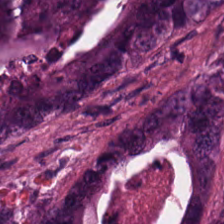224×224 pixel tile · H&E-stained tissue section. Q: What tissue is shown?
A: Colorectal adenocarcinoma epithelium.
